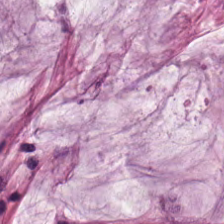Q: What tissue is shown?
A: It is extracellular mucin.
